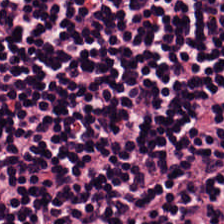Q: What is shown in this field?
A: The field shows lymphocytic infiltrate.
